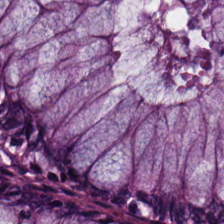Hematoxylin-and-eosin stained section — This field is normal colonic mucosa.
